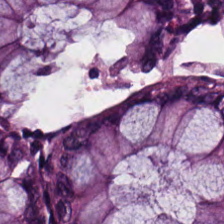Whole-slide-image patch; 224×224 px tile; H&E-stained tissue section. Predominant tissue = benign colonic mucosa.
